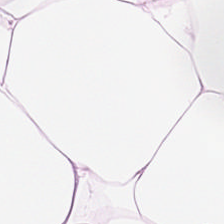0.5 µm/px · hematoxylin and eosin · brightfield microscopy — This patch shows adipose.
